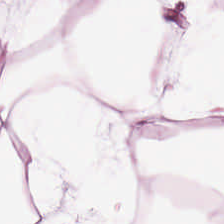H&E — Adipocytes.
